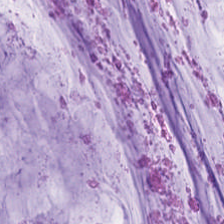WSI patch. Hematoxylin-and-eosin stained section — Impression → mucin.
